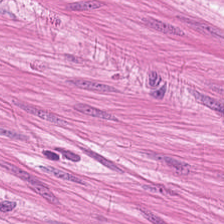H&E-stained tissue section.
Smooth-muscle tissue.
